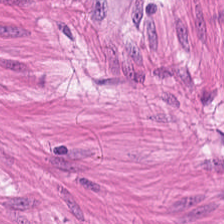Hematoxylin and eosin. Impression → smooth-muscle tissue.
